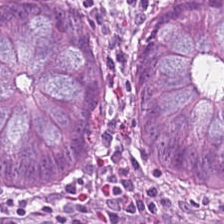Stain: H&E stain.
Classification: normal colonic mucosa.
